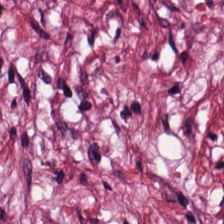Hematoxylin-and-eosin stained section.
Tissue type — cancer-associated stroma.
